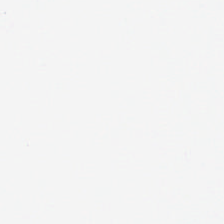Stain: H&E stain.
Content: no tissue.
